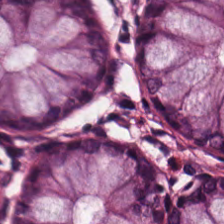Stain: hematoxylin and eosin.
Tissue type: benign colonic mucosa.
